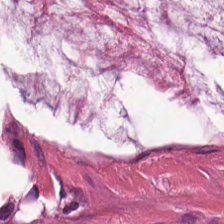Tissue class = mucus.
